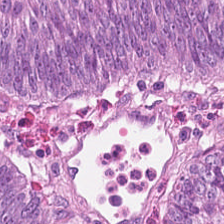H&E-stained tissue section · brightfield microscopy. Tissue — colorectal adenocarcinoma epithelium.
